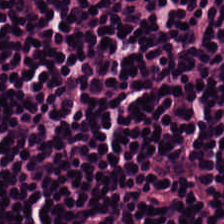Formalin-fixed paraffin-embedded section. Brightfield microscopy. H&E-stained tissue section.
Q: What does this patch show?
A: Lymphocytic infiltrate.
